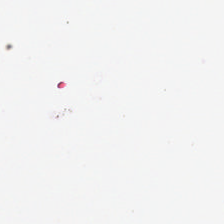This patch shows empty background.
